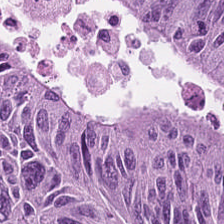H&E patch showing adenocarcinoma.
